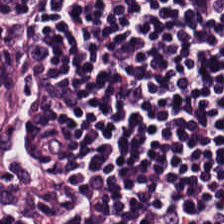H&E stain. Q: What does this patch show?
A: This is lymphocytic infiltrate.
